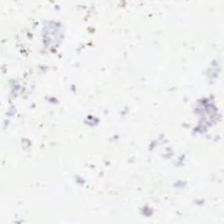Classification — no tissue.
